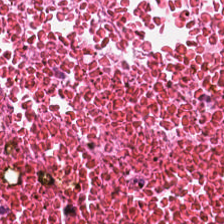H&E. {"tissue_type": "debris"}
